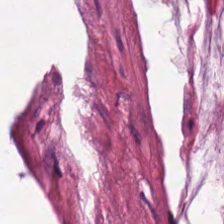Hematoxylin-and-eosin stained section — The tissue is mucin.
